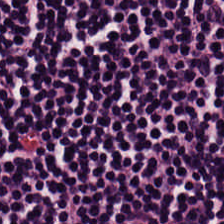Hematoxylin and eosin — Impression → lymphocytic infiltrate.
